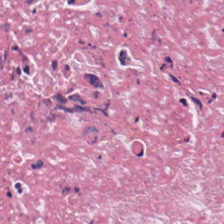Hematoxylin and eosin — Necrotic debris.
